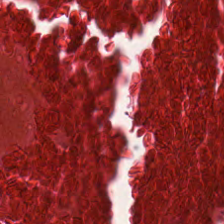Hematoxylin and eosin · brightfield. Tissue = debris.
